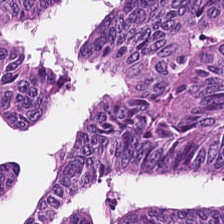Finding → malignant epithelium.
